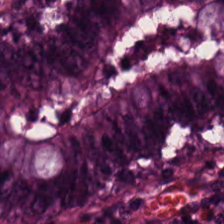This patch shows benign colonic mucosa.
